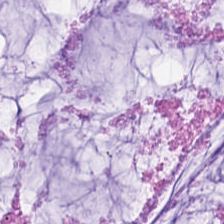H&E stain — Impression — extracellular mucin.
